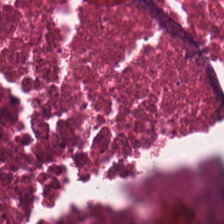Hematoxylin-and-eosin section: debris.
